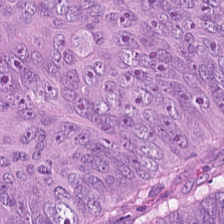224×224 px patch · H&E · WSI patch.
{"tissue_type": "colorectal adenocarcinoma"}
